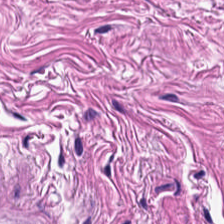Hematoxylin and eosin.
Q: What is shown here?
A: This is smooth-muscle tissue.
